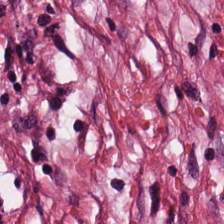Hematoxylin-and-eosin stained section. 20× equivalent magnification. FFPE tissue section.
Q: Classify this patch.
A: Tumor-associated stroma.
